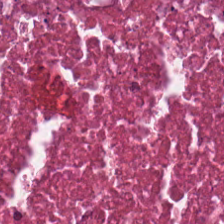FFPE tissue section. H&E stain — Histology — cellular debris.
